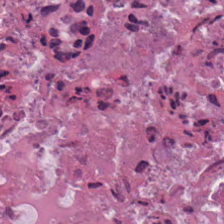Stain: hematoxylin and eosin.
Preparation: FFPE.
Tile size: 224×224 pixel tile.
Tissue type: debris.
